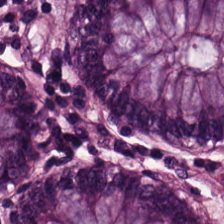224×224 px patch · H&E stain. Impression → normal colonic mucosa.
